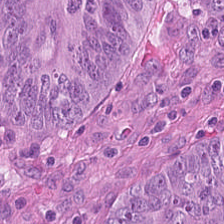224×224 pixel tile. H&E stain. Formalin-fixed paraffin-embedded section — The classification is colorectal adenocarcinoma.
